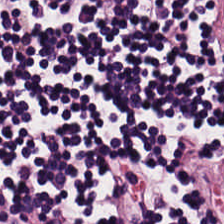H&E.
Tissue type = lymphocyte aggregate.
